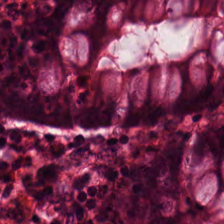FFPE tissue section · hematoxylin-and-eosin stained section — {"tissue_type": "normal colonic mucosa"}
